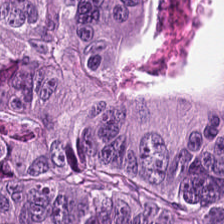Hematoxylin-and-eosin stained section. Whole-slide-image patch. The tissue here is colorectal adenocarcinoma epithelium.
